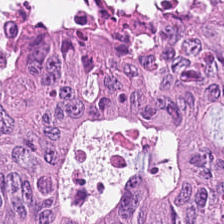Hematoxylin-and-eosin stained section — This field is malignant epithelium.
